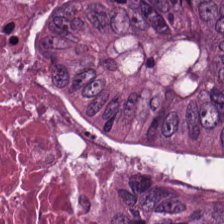H&E-stained tissue section; 224×224 pixel tile. Predominantly necrotic debris.
